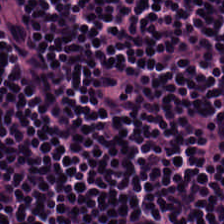H&E-stained tissue section · 224×224 px patch. Impression — lymphoid infiltrate.
